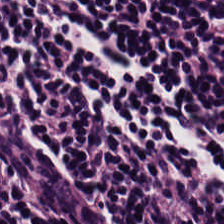Stain: H&E.
Tissue: lymphocytic infiltrate.
